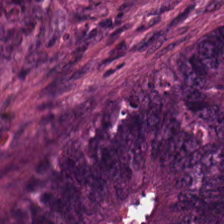H&E · FFPE tissue section — Showing malignant epithelium.
